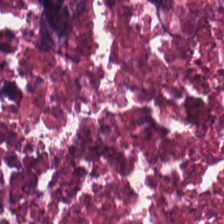This patch shows cellular debris.
